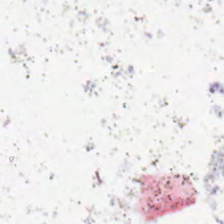Brightfield microscopy · formalin-fixed paraffin-embedded section · hematoxylin and eosin.
Field content: no tissue.
